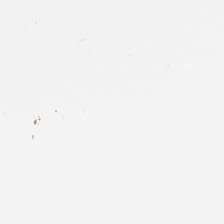Hematoxylin and eosin. Q: What does this patch show?
A: The field shows no tissue.
